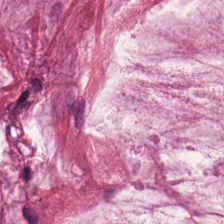Hematoxylin-and-eosin stained section — Impression → mucin.
